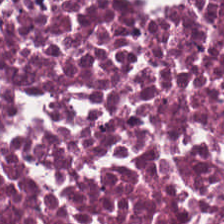H&E.
Q: What type of tissue is this?
A: Necrotic debris.
